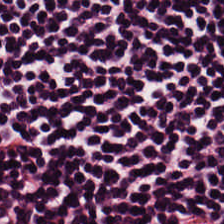Stain: H&E stain.
Predominant tissue: lymphocyte aggregate.
